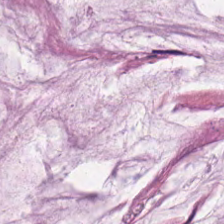Stain: hematoxylin and eosin.
Resolution: 0.5 µm/px.
Predominant tissue: mucus.
